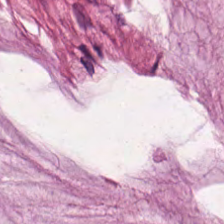H&E stain. Whole-slide-image patch. 224×224 pixel tile. Predominantly mucus.
